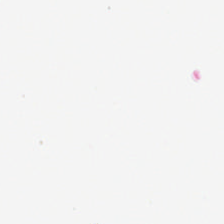Hematoxylin and eosin. No tissue present; background only.
